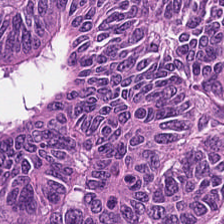FFPE · H&E-stained tissue section. Tissue class: malignant epithelium.
